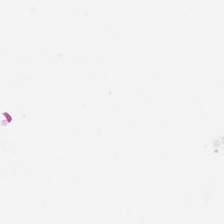224×224 px patch · H&E-stained tissue section. Classification = no tissue.
